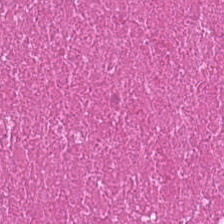H&E-stained tissue section. This patch shows necrotic debris.
